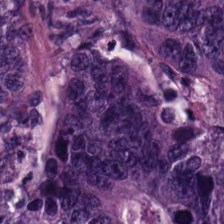Impression → malignant epithelium.
